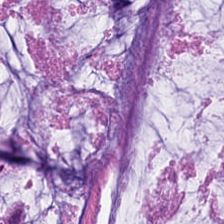0.5 microns per pixel. Hematoxylin-and-eosin stained section. 224×224 px tile.
Q: What tissue is shown?
A: Mucin.
